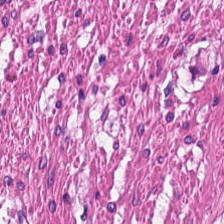Stain: hematoxylin-and-eosin stained section.
Resolution: 0.5 µm per pixel.
Preparation: formalin-fixed paraffin-embedded section.
Tissue: muscularis.
